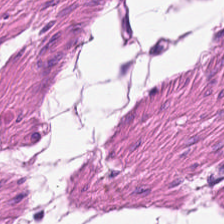224×224 px patch; FFPE tissue section; H&E stain. The tissue here is muscularis.
